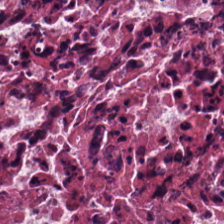224×224 px tile · hematoxylin-and-eosin stained section.
Finding → necrotic debris.
